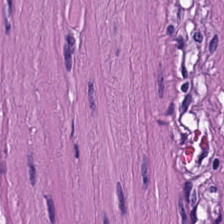Hematoxylin and eosin — Tissue class = muscularis.
